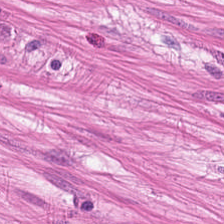H&E-stained tissue section.
Q: What type of tissue is this?
A: This is smooth-muscle tissue.
